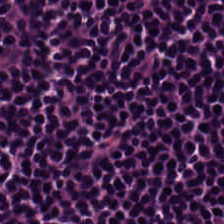H&E-stained section; the field shows lymphoid infiltrate.
